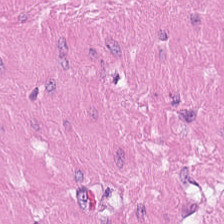224×224 px tile; H&E. Q: What is shown here?
A: This is muscularis.
